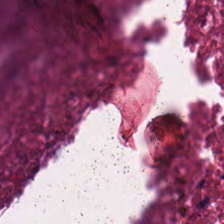H&E-stained tissue section. 20× equivalent magnification. WSI patch.
This field is necrotic debris.
